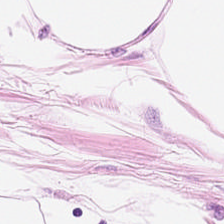FFPE tissue section · H&E · 0.5 µm per pixel.
Histology → adipocytes.
